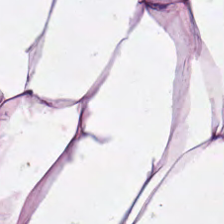H&E stain. The predominant tissue is adipocytes.
